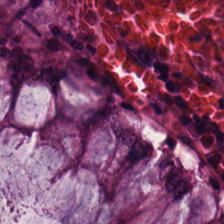0.5 µm/px · hematoxylin and eosin. Classification — normal colonic mucosa.
